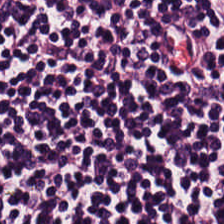H&E-stained tissue section · 224×224 px patch — Finding → lymphoid infiltrate.
